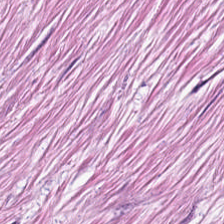Stain: hematoxylin-and-eosin stained section.
Tissue class: desmoplastic stroma.
